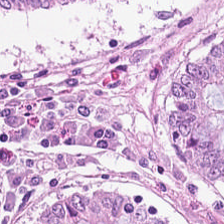Stain: hematoxylin and eosin.
Acquisition: brightfield microscopy.
Tissue type: benign colonic mucosa.
